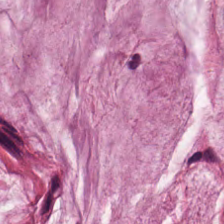Histology → mucin.
